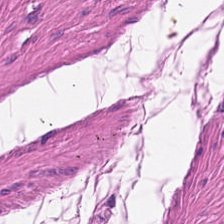H&E stain — Impression → smooth muscle.
